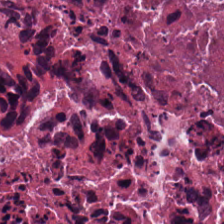Hematoxylin and eosin. 224×224 px patch. Q: Classify this patch.
A: The field shows cellular debris.
